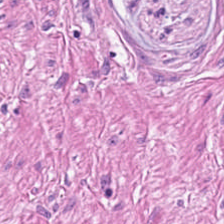Finding → smooth-muscle tissue.
